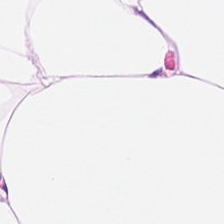H&E stain — Predominant tissue: adipocytes.
